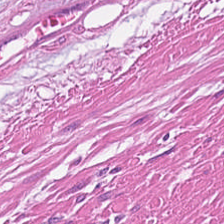Formalin-fixed paraffin-embedded section · 0.5 µm per pixel · H&E stain — Q: What is shown here?
A: It is muscularis.
